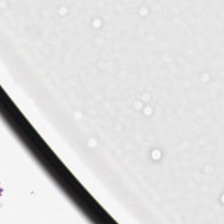H&E.
This field is background (no tissue).
